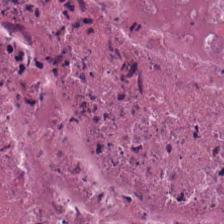The classification is debris.
